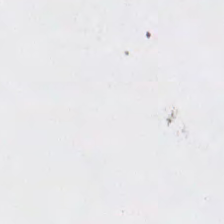Hematoxylin-and-eosin stained section. 224×224 px tile.
Content = empty background.
